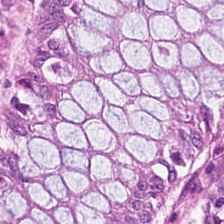Stain: H&E stain.
Tissue: normal colonic mucosa.
